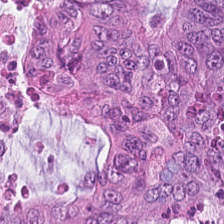Hematoxylin-and-eosin stained section · brightfield · FFPE — The predominant tissue is colorectal adenocarcinoma.
